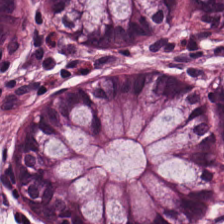H&E-stained section; the field shows non-neoplastic colon mucosa.
